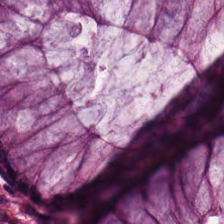Hematoxylin-and-eosin stained section.
Predominant tissue: normal colon mucosa.
